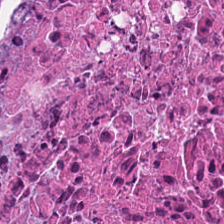224×224 px tile; brightfield; H&E-stained tissue section.
Histology → debris.
